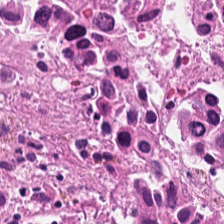Hematoxylin and eosin — Impression → debris.
